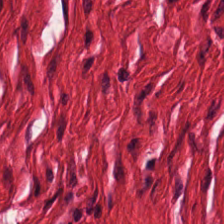Hematoxylin-and-eosin section: smooth-muscle tissue.
